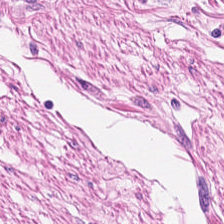H&E stain. 20× equivalent magnification. Brightfield.
The predominant tissue is muscularis.
